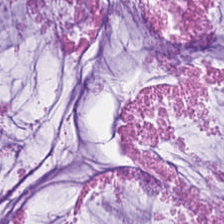Finding — extracellular mucin.
